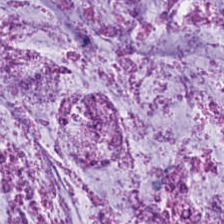Stain: hematoxylin-and-eosin stained section.
Preparation: FFPE tissue section.
Predominant tissue: mucin.
